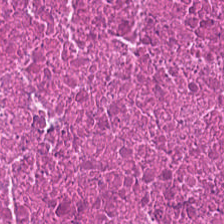FFPE; hematoxylin and eosin — Tissue class: debris.
